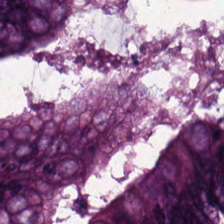H&E-stained tissue section — The classification is malignant epithelium.
